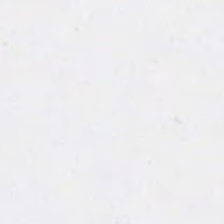Brightfield microscopy · 0.5 microns per pixel · H&E stain — No tissue present; background only.
